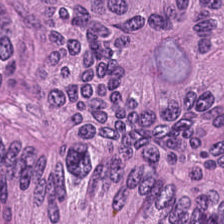H&E · 224×224 px patch. Impression — tumor epithelium.
